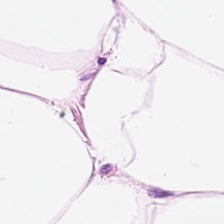H&E-stained tissue section — Adipose tissue.
